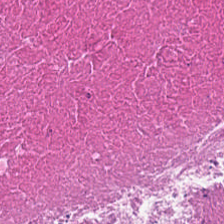Hematoxylin-and-eosin section: debris.
